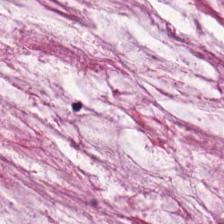FFPE tissue section · hematoxylin-and-eosin stained section · 224×224 pixel tile — Q: What type of tissue is this?
A: It is mucin.
